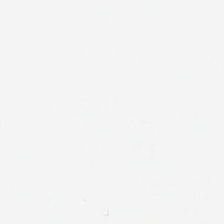Hematoxylin-and-eosin stained section — Background (no tissue).
